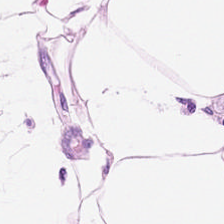Predominant tissue = fat tissue.
